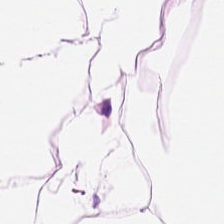FFPE tissue section · H&E.
Q: What does this patch show?
A: It is adipose tissue.
